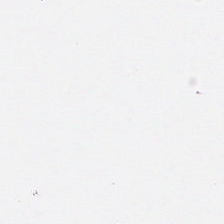224×224 pixel tile; hematoxylin-and-eosin stained section; formalin-fixed paraffin-embedded section.
Empty field — background.
